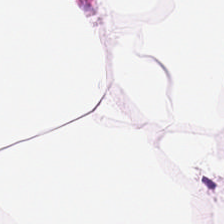0.5 µm per pixel · hematoxylin and eosin — Q: What type of tissue is this?
A: It is fat tissue.
